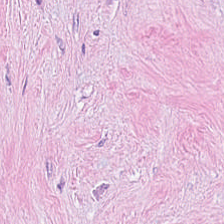H&E-stained tissue section. Tumor-associated stroma.
